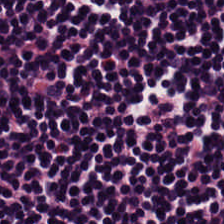Stain: hematoxylin and eosin.
Tissue: lymphoid infiltrate.
